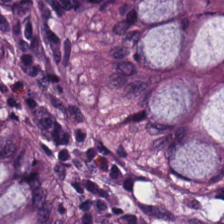224×224 px patch · H&E stain.
Impression — benign colonic mucosa.
